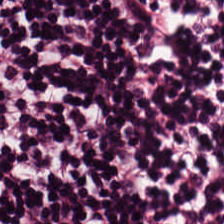The tissue class is lymphocyte aggregate.
